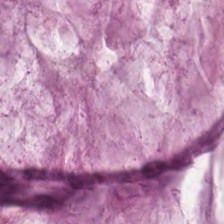Hematoxylin-and-eosin stained section.
Impression — mucus.
